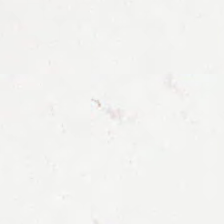Stain: hematoxylin and eosin.
Tile size: 224×224 px tile.
Field content: empty background.
